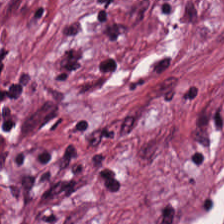H&E.
This patch shows cancer-associated stroma.
